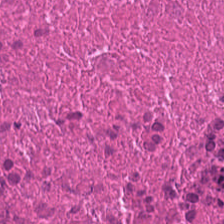The classification is debris.
